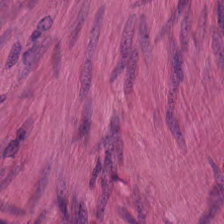224×224 pixel tile. H&E-stained tissue section. Tissue = muscularis.
